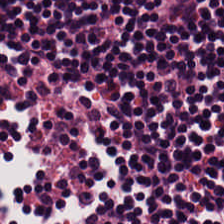H&E stain.
Q: What tissue is shown?
A: It is lymphocytes.
